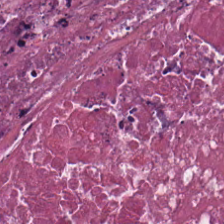Hematoxylin and eosin. 0.5 µm/px.
Showing necrotic debris.
